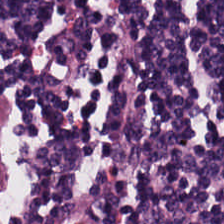0.5 microns per pixel · whole-slide-image patch · H&E — Showing lymphoid infiltrate.
